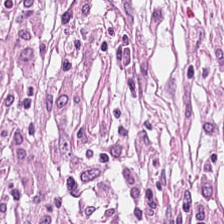0.5 µm per pixel. H&E. Brightfield — {"tissue_type": "tumor-associated stroma"}
